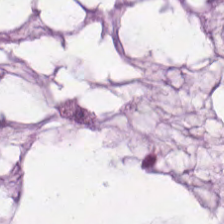H&E patch showing mucin.
